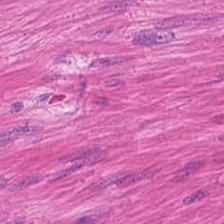224×224 px patch. H&E. Brightfield microscopy — Showing muscularis.
